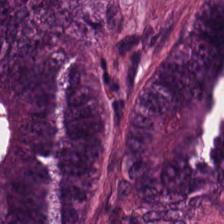Predominantly tumor epithelium.
